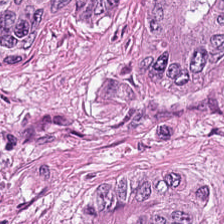Stain: hematoxylin and eosin.
Tissue: adenocarcinoma.
